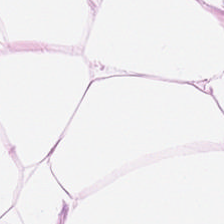H&E stain. Formalin-fixed paraffin-embedded section.
Classification: adipose tissue.
